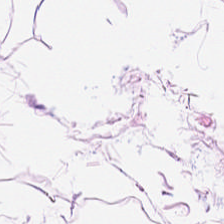H&E-stained tissue section.
This field is fat tissue.
